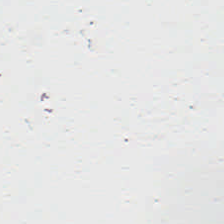Field content — no tissue.
